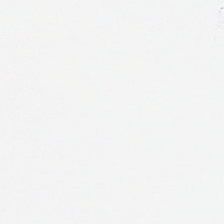H&E — Histology — empty background.
